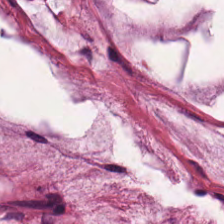224×224 px patch · H&E · FFPE. Tissue — mucus.
